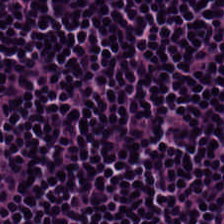H&E stain. The tissue here is lymphocyte aggregate.
